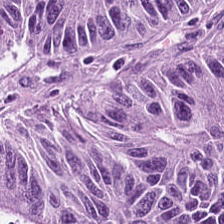224×224 pixel tile · H&E — Tissue: tumor epithelium.
